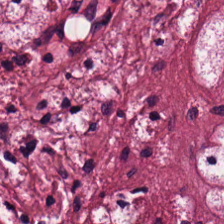Tissue class — desmoplastic stroma.
